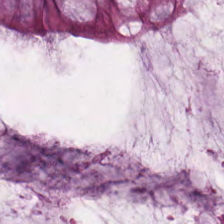Hematoxylin-and-eosin stained section — The classification is normal colonic mucosa.
